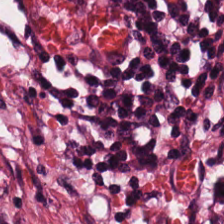Hematoxylin and eosin.
Tissue class: desmoplastic stroma.
